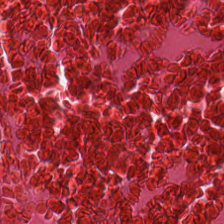H&E stain — Showing debris.
